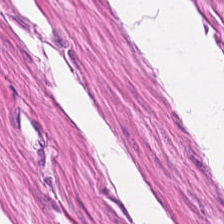Stain: hematoxylin and eosin.
Predominant tissue: smooth muscle.
